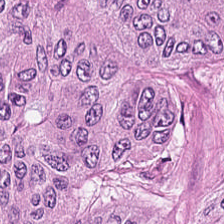WSI patch. Hematoxylin-and-eosin stained section. This field is malignant epithelium.
